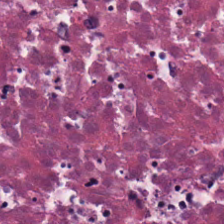Impression — debris.
